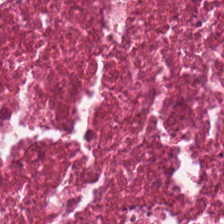Hematoxylin and eosin. Finding → cellular debris.
